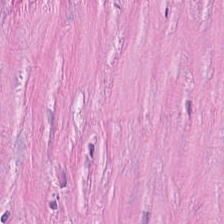Q: What type of tissue is this?
A: It is tumor-associated stroma.
